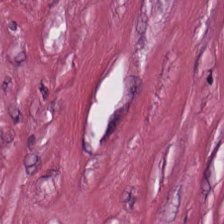224×224 px patch · hematoxylin-and-eosin stained section · WSI patch.
Q: What is the predominant tissue type?
A: This is tumor-associated stroma.
